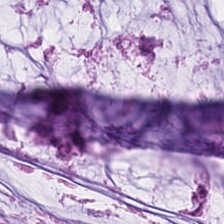H&E-stained tissue section. The predominant tissue is mucus.
